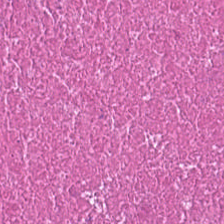H&E stain.
Impression — cellular debris.
